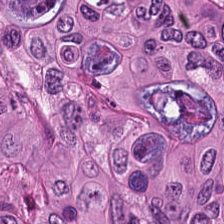Formalin-fixed paraffin-embedded section. H&E-stained tissue section. Q: What is the predominant tissue type?
A: The field shows colorectal adenocarcinoma.
